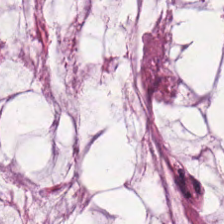Hematoxylin and eosin — Mucus.
